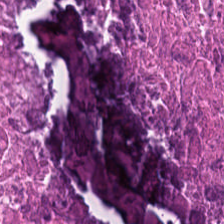H&E; 0.5 microns per pixel; brightfield microscopy.
Q: What type of tissue is this?
A: The field shows debris.
